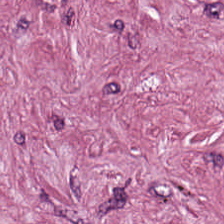Brightfield microscopy. H&E-stained tissue section.
Tumor stroma.
